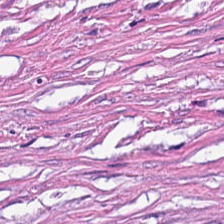Predominant tissue = desmoplastic stroma.
